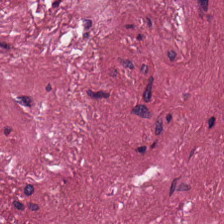{"tissue_type": "tumor-associated stroma"}
